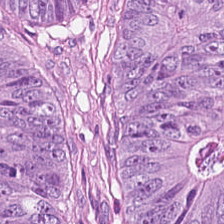H&E stain — Tissue class — adenocarcinoma.
